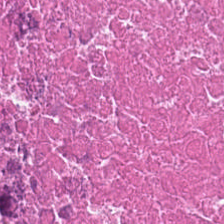224×224 pixel tile. H&E stain. Formalin-fixed paraffin-embedded section.
Classification = cellular debris.
